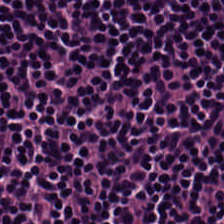0.5 µm per pixel. H&E stain. FFPE tissue section.
Q: What tissue is shown?
A: It is lymphocyte aggregate.
